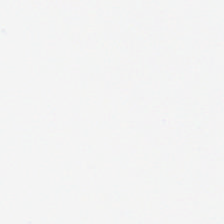No tissue present; background only.
